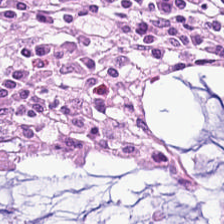H&E — benign colonic mucosa.
